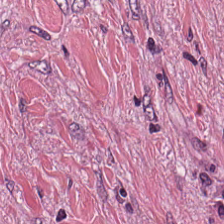Impression — cancer-associated stroma.
